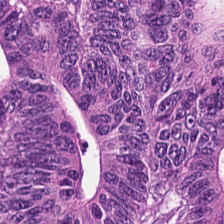Predominant tissue: tumor epithelium.
